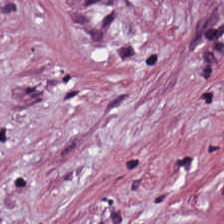Hematoxylin and eosin.
Impression → tumor stroma.
